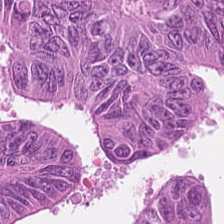Hematoxylin and eosin. Predominantly colorectal adenocarcinoma.
